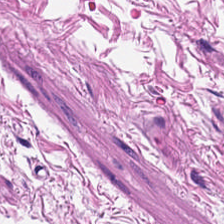Hematoxylin-and-eosin stained section. Predominantly muscularis.
